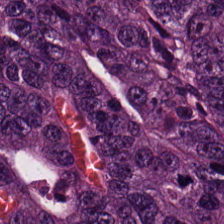H&E. 224×224 px tile.
This field is malignant epithelium.
